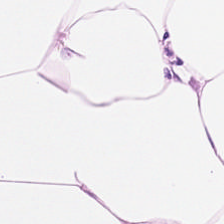Hematoxylin and eosin.
Tissue class = adipose tissue.
